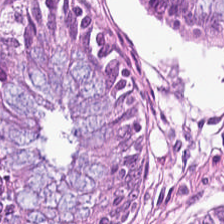H&E stain.
Finding — normal colon mucosa.
